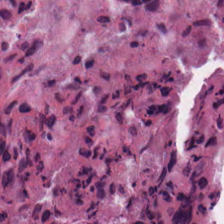Hematoxylin and eosin — Q: What is shown in this field?
A: This is necrotic debris.
